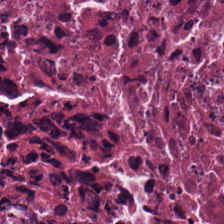Hematoxylin and eosin.
Tissue class — cellular debris.
